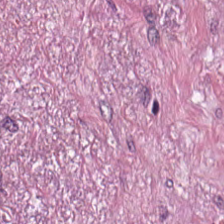H&E-stained tissue section; 0.5 µm/px — {"tissue_type": "desmoplastic stroma"}
